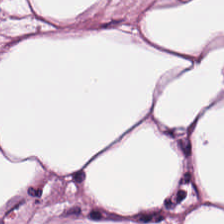H&E. Predominant tissue: adipose tissue.
